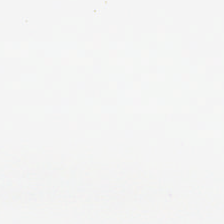H&E stain; whole-slide-image patch — Classification — no tissue.
